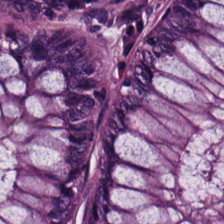Q: What is shown here?
A: This is benign colonic mucosa.
